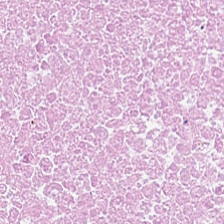H&E-stained tissue section. Predominant tissue — debris.
